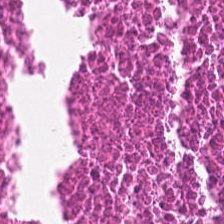Stain: hematoxylin-and-eosin stained section.
Predominant tissue: cellular debris.
